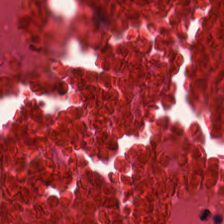20× equivalent magnification · H&E stain — The predominant tissue is cellular debris.
